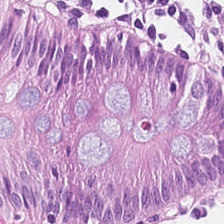H&E stain.
Q: Identify the tissue.
A: The field shows non-neoplastic colon mucosa.
